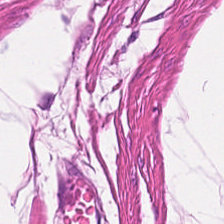H&E.
Muscularis.
